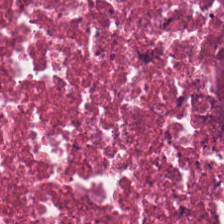Histology — debris.
